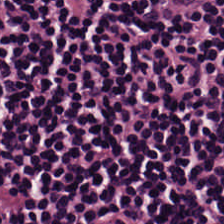Hematoxylin-and-eosin stained section.
Predominant tissue — lymphocytes.
